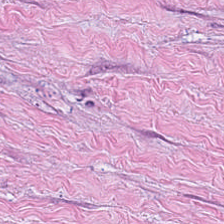Impression — desmoplastic stroma.
